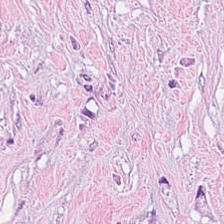Tissue class: cancer-associated stroma.
